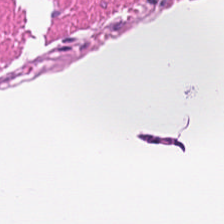H&E stain · 224×224 pixel tile.
Classification — smooth muscle.
